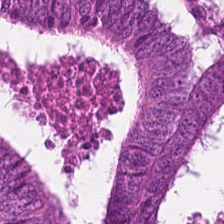Hematoxylin-and-eosin stained section. The tissue here is tumor epithelium.
